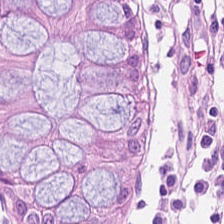H&E stain; 224×224 pixel tile — This field is normal colon mucosa.
